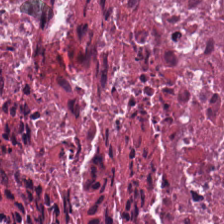H&E.
Q: What is shown here?
A: This is debris.
